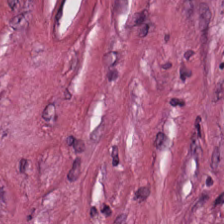H&E — Finding → cancer-associated stroma.
